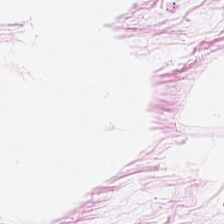Stain: H&E.
Predominant tissue: adipose.
